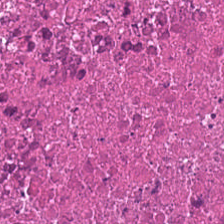H&E.
Tissue type: necrotic debris.
